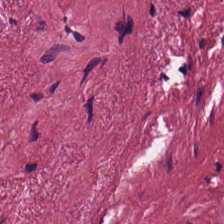H&E.
The tissue here is tumor stroma.
